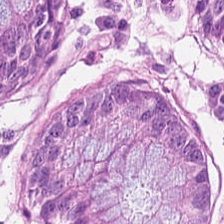WSI patch. Hematoxylin-and-eosin stained section. 0.5 µm per pixel — Impression → non-neoplastic colon mucosa.
